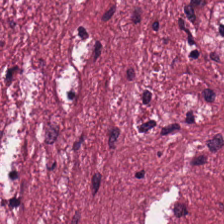The tissue here is tumor-associated stroma.
